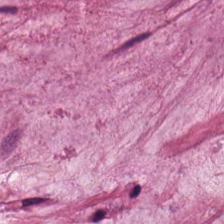Hematoxylin-and-eosin stained section.
Classification: mucus.
